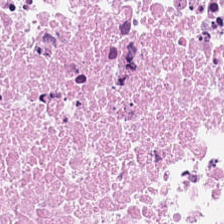H&E — cellular debris.
